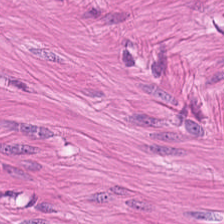H&E-stained tissue section.
Q: What is shown in this field?
A: This is smooth-muscle tissue.
